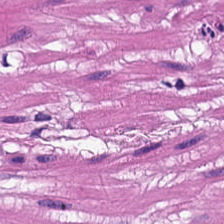Stain: H&E.
Acquisition: brightfield.
Classification: muscularis.
